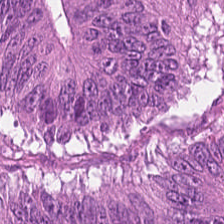Stain: H&E.
Predominant tissue: malignant epithelium.
